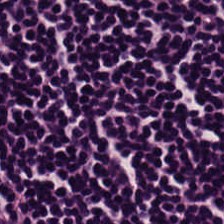{"tissue_type": "lymphoid infiltrate"}
